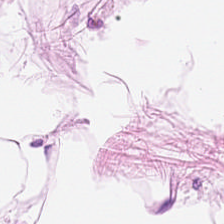Whole-slide-image patch. H&E. Q: What is the predominant tissue type?
A: It is adipocytes.
